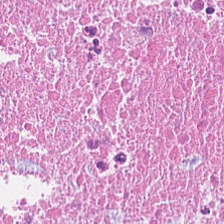H&E stain. Tissue type = cellular debris.
